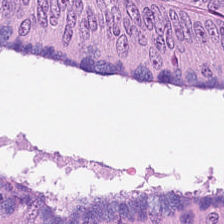Impression — colorectal adenocarcinoma.
